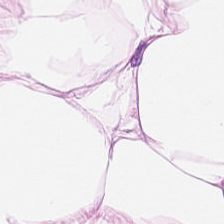Classification = adipose.
